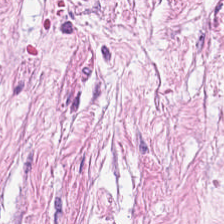Stain: H&E stain.
Tissue class: cancer-associated stroma.
